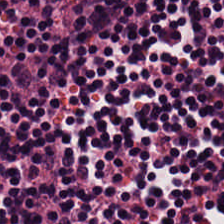H&E.
Tissue class — lymphocyte aggregate.
